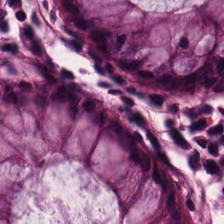Q: Classify this patch.
A: The field shows normal colonic mucosa.
